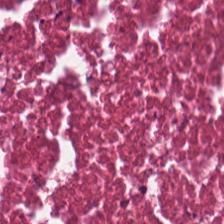H&E.
Predominantly necrotic debris.
